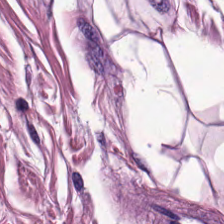H&E stain — Tissue type: smooth-muscle tissue.
